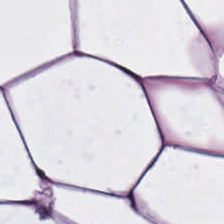20× equivalent magnification · FFPE tissue section · H&E. Finding → fat tissue.
